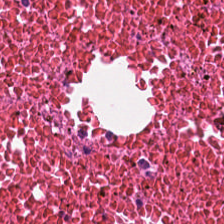The predominant tissue is debris.
